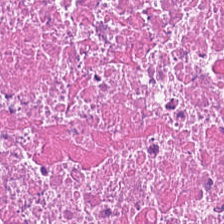Hematoxylin-and-eosin stained section.
Tissue type = debris.
